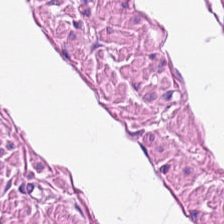Hematoxylin and eosin.
Histology → smooth muscle.
